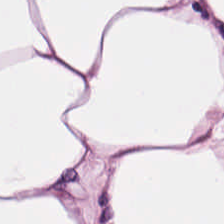224×224 px tile. Whole-slide-image patch. Hematoxylin and eosin. Predominant tissue: adipocytes.
